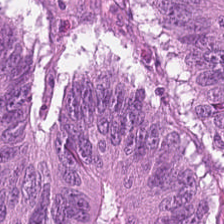H&E stain.
The tissue here is malignant epithelium.
